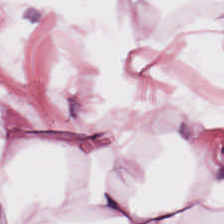This patch shows adipose.
